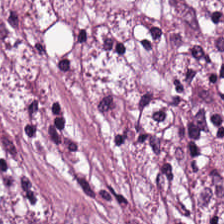H&E-stained section; the field shows cancer-associated stroma.
